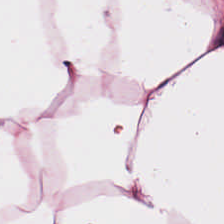Hematoxylin and eosin. Tissue class — fat tissue.
